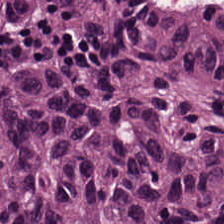H&E stain.
Classification: malignant epithelium.
